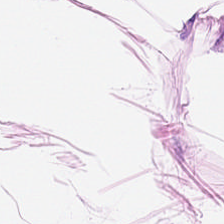H&E-stained section; the field shows adipocytes.
